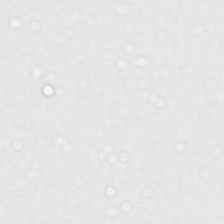FFPE tissue section · H&E-stained tissue section.
This field is background (no tissue).
